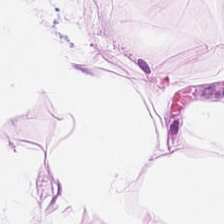Stain: hematoxylin-and-eosin stained section.
Tissue: fat tissue.
